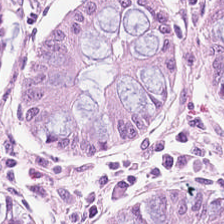Hematoxylin and eosin — The classification is benign colonic mucosa.
